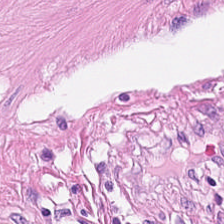H&E-stained tissue section.
Predominant tissue: smooth muscle.
